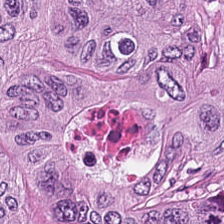0.5 µm per pixel; H&E-stained tissue section — Q: What does this patch show?
A: This is adenocarcinoma.
